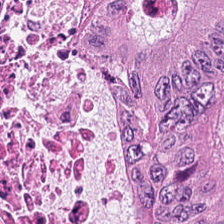H&E stain. Classification: adenocarcinoma.
